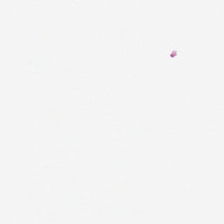Hematoxylin and eosin.
Content = no tissue.
